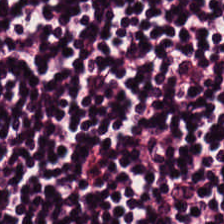Hematoxylin-and-eosin stained section — Histology → lymphocytes.
